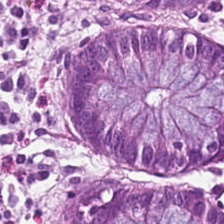Predominantly benign colonic mucosa.
